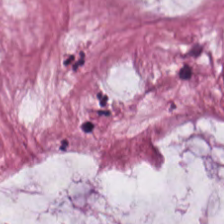H&E — mucus.
